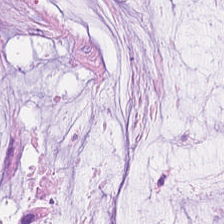H&E stain — {"tissue_type": "extracellular mucin"}
